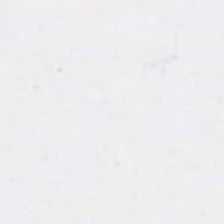H&E — Background.
